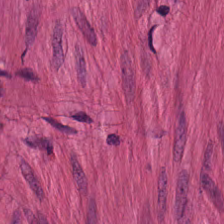FFPE tissue section. Hematoxylin and eosin — Showing smooth-muscle tissue.
